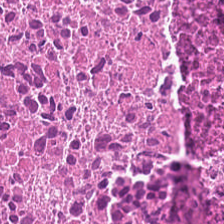FFPE tissue section · 224×224 pixel tile · hematoxylin and eosin. Q: What is the predominant tissue type?
A: The field shows cellular debris.
